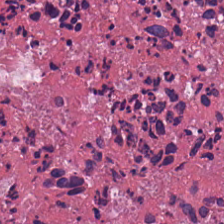224×224 px patch. Brightfield. Hematoxylin and eosin. {"tissue_type": "debris"}
